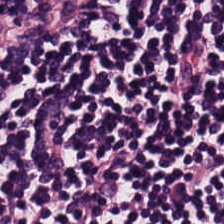FFPE tissue section · 0.5 µm per pixel · hematoxylin-and-eosin stained section. Predominantly lymphocytic infiltrate.
